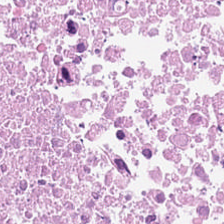H&E stain. Showing debris.
